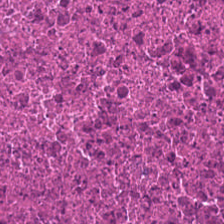The predominant tissue is necrotic debris.
